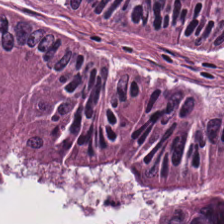H&E stain. Classification — adenocarcinoma.
